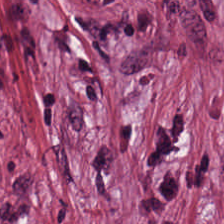Hematoxylin and eosin — Q: What tissue type is shown here?
A: Tumor-associated stroma.
